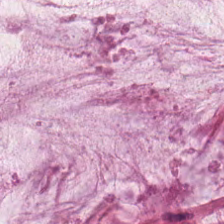Hematoxylin and eosin. WSI patch. Predominantly mucin.
